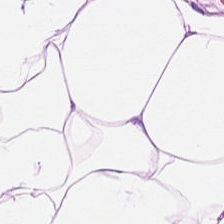Hematoxylin and eosin — Tissue: adipose tissue.
